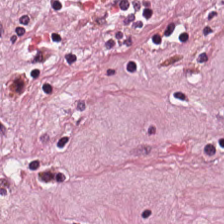The classification is cancer-associated stroma.
